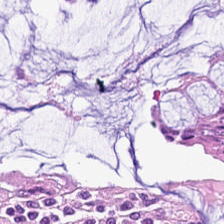0.5 µm/px · brightfield · H&E-stained tissue section. Showing non-neoplastic colon mucosa.
